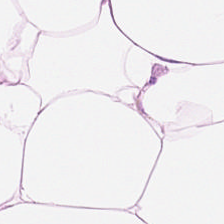H&E-stained tissue section.
Adipose tissue.
